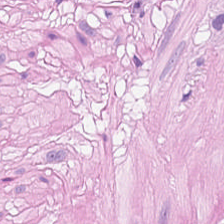Tissue class — smooth muscle.
